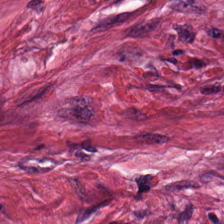{"tissue_type": "desmoplastic stroma"}
